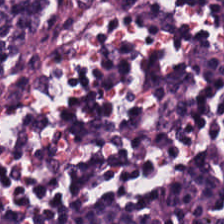Predominant tissue — lymphocytes.
